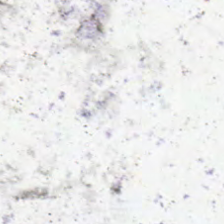Q: What is shown here?
A: It is background (no tissue).
